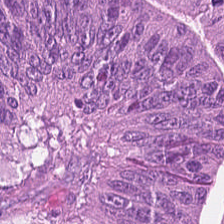Q: What tissue type is shown here?
A: It is malignant epithelium.
